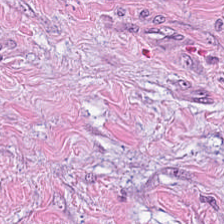Stain: hematoxylin and eosin.
Tissue class: desmoplastic stroma.
